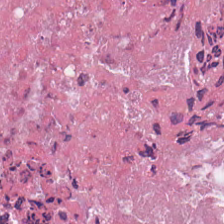H&E stain.
Q: What tissue is shown?
A: Cellular debris.
